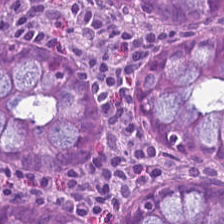H&E-stained tissue section. Formalin-fixed paraffin-embedded section — This field is non-neoplastic colon mucosa.
